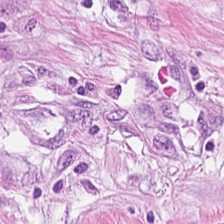Q: What is shown here?
A: The field shows tumor stroma.
